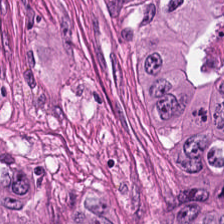Hematoxylin-and-eosin stained section — Q: What does this patch show?
A: It is tumor epithelium.
